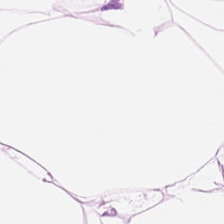Brightfield. 224×224 pixel tile. H&E-stained tissue section. Classification — adipose.
